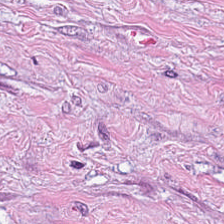224×224 pixel tile; H&E; 0.5 µm/px — Showing tumor-associated stroma.
